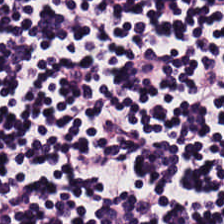Hematoxylin and eosin — Predominantly lymphocytes.
